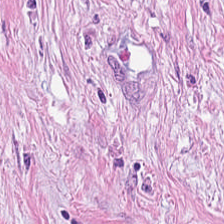Brightfield microscopy · hematoxylin and eosin. Predominant tissue = desmoplastic stroma.
